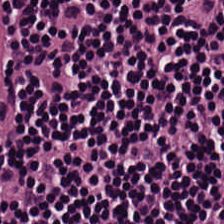H&E-stained tissue section showing lymphocytes.
